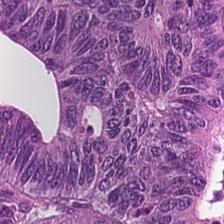0.5 microns per pixel · formalin-fixed paraffin-embedded section · H&E.
{"tissue_type": "malignant epithelium"}
